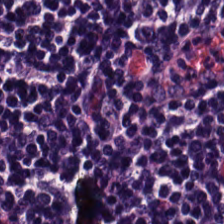H&E-stained tissue section — Classification: lymphocytes.
